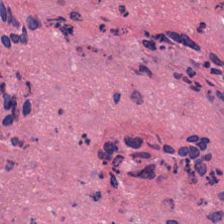H&E stain; 224×224 px patch. {"tissue_type": "cellular debris"}
